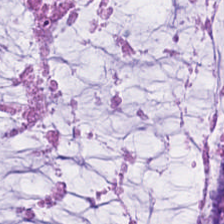Hematoxylin-and-eosin stained section · FFPE tissue section. This patch shows mucin.
